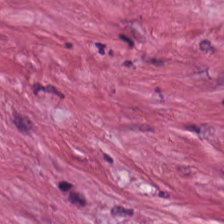H&E-stained tissue section — Desmoplastic stroma.
